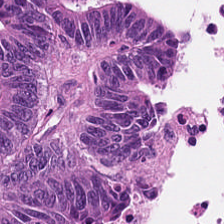H&E. Formalin-fixed paraffin-embedded section. The predominant tissue is colorectal adenocarcinoma.
